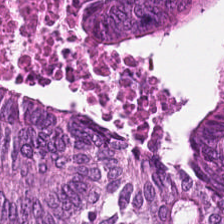Hematoxylin and eosin — Showing adenocarcinoma.
